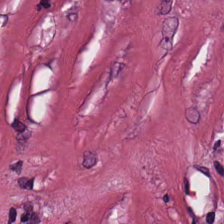FFPE tissue section · H&E stain — This patch shows tumor stroma.
